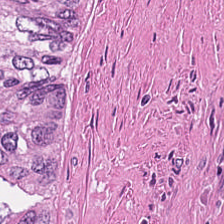Hematoxylin and eosin — Q: What type of tissue is this?
A: It is cellular debris.
